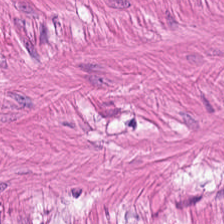224×224 pixel tile · H&E-stained tissue section · FFPE.
This field is muscularis.
